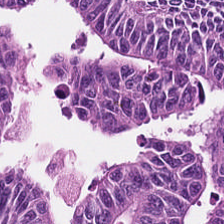H&E stain. WSI patch. Formalin-fixed paraffin-embedded section.
{"tissue_type": "colorectal adenocarcinoma epithelium"}
